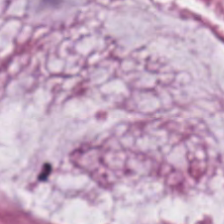H&E-stained tissue section. 224×224 px tile.
The predominant tissue is mucin.
